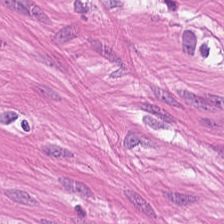H&E · 224×224 px patch. The tissue here is smooth muscle.
